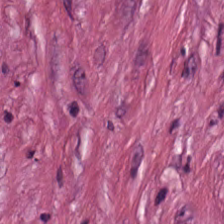H&E — Classification = tumor-associated stroma.
